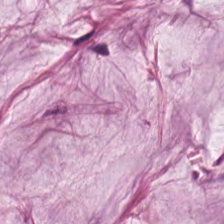Brightfield microscopy; H&E stain — The tissue here is extracellular mucin.
